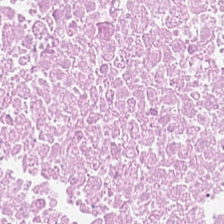Hematoxylin-and-eosin stained section — Finding — cellular debris.
